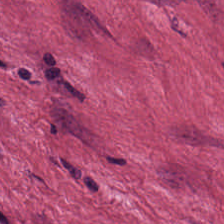Stain: H&E-stained tissue section.
Predominant tissue: cancer-associated stroma.
